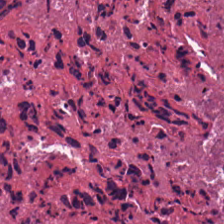Hematoxylin-and-eosin stained section.
Q: What is shown here?
A: Necrotic debris.
